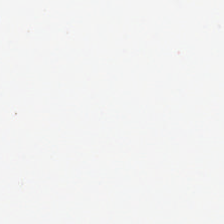H&E-stained tissue section.
Content = background (no tissue).
